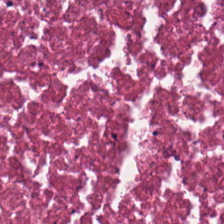Hematoxylin-and-eosin stained section — {"tissue_type": "cellular debris"}
